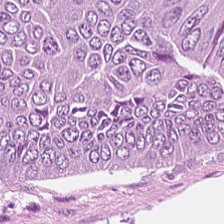20× equivalent magnification · H&E stain · brightfield.
{"tissue_type": "tumor epithelium"}
